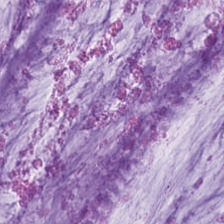Hematoxylin-and-eosin stained section · 224×224 px patch.
The tissue here is extracellular mucin.
